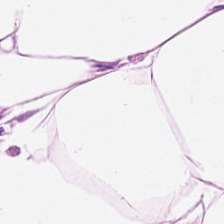Hematoxylin and eosin — Finding — fat tissue.
